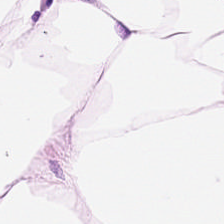0.5 µm per pixel. Hematoxylin and eosin — Predominantly fat tissue.
